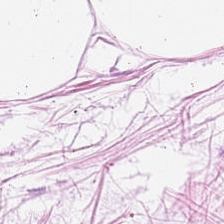Predominantly fat tissue.
